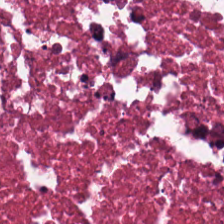H&E. 0.5 microns per pixel. FFPE — The predominant tissue is necrotic debris.
